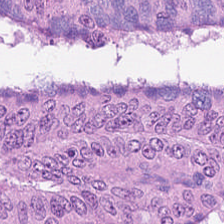Tissue type: malignant epithelium.
